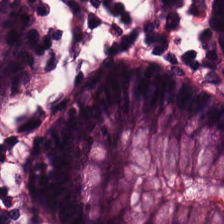Whole-slide-image patch. Hematoxylin-and-eosin stained section. 224×224 pixel tile — This field is non-neoplastic colon mucosa.
